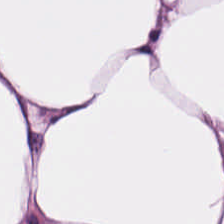The classification is fat tissue.
